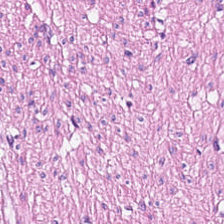H&E-stained tissue section; formalin-fixed paraffin-embedded section; WSI patch — Tissue class: smooth-muscle tissue.
